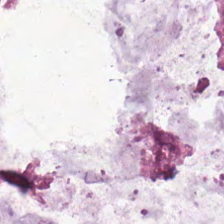Hematoxylin and eosin.
Classification — mucus.
